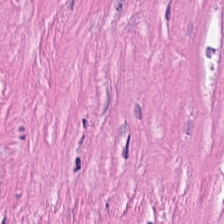224×224 pixel tile · hematoxylin-and-eosin stained section · brightfield — Tumor stroma.
